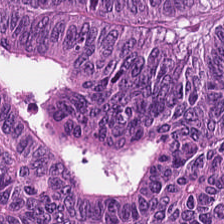Hematoxylin-and-eosin section: colorectal adenocarcinoma.
